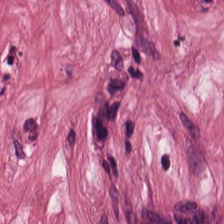Hematoxylin-and-eosin stained section.
Q: What is shown here?
A: This is desmoplastic stroma.
